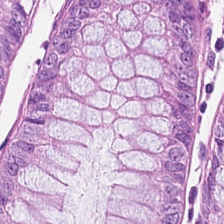0.5 microns per pixel; WSI patch; H&E stain — Q: Identify the tissue.
A: It is non-neoplastic colon mucosa.
